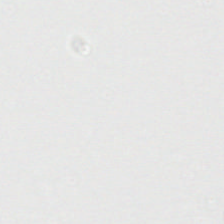0.5 µm per pixel. H&E. 224×224 px tile. Q: What is shown here?
A: Empty background.
